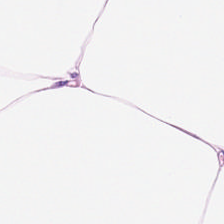Stain: hematoxylin-and-eosin stained section.
Acquisition: brightfield microscopy.
Preparation: formalin-fixed paraffin-embedded section.
Tissue class: adipose tissue.
